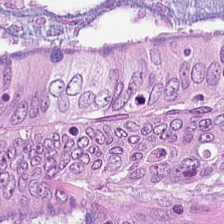Whole-slide-image patch · hematoxylin-and-eosin stained section.
Tissue = colorectal adenocarcinoma.
